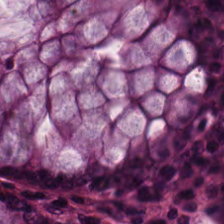Hematoxylin-and-eosin stained section — This field is benign colonic mucosa.
